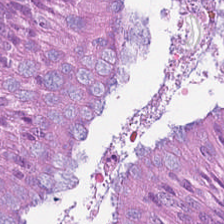H&E stain. Formalin-fixed paraffin-embedded section. WSI patch. Showing tumor epithelium.
